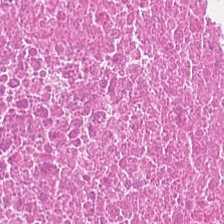224×224 pixel tile · H&E-stained tissue section · 0.5 microns per pixel. Impression → necrotic debris.
